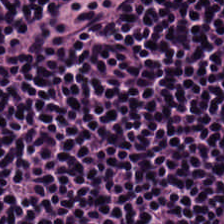H&E-stained tissue section; FFPE tissue section.
Q: What is shown in this field?
A: The field shows lymphocytic infiltrate.
